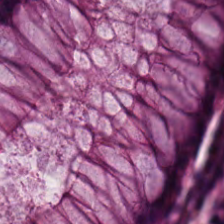224×224 pixel tile · hematoxylin-and-eosin stained section — Predominant tissue = normal colon mucosa.
